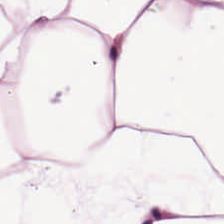0.5 µm/px · H&E stain.
The predominant tissue is adipose.
